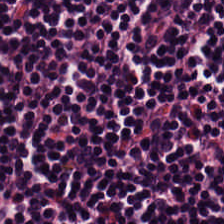Hematoxylin-and-eosin stained section; brightfield microscopy.
Impression → lymphocytic infiltrate.
